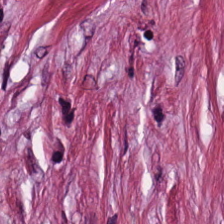20× equivalent magnification. H&E-stained tissue section. FFPE tissue section.
The tissue type is tumor-associated stroma.
